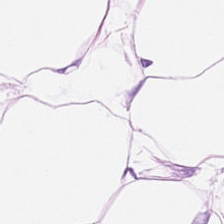Hematoxylin-and-eosin stained section — Q: What type of tissue is this?
A: Fat tissue.
